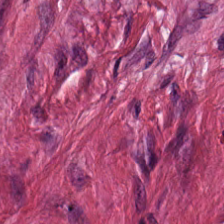H&E. Predominant tissue = desmoplastic stroma.
